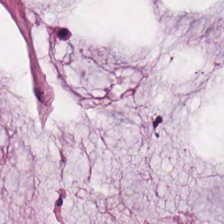H&E. The tissue type is extracellular mucin.
